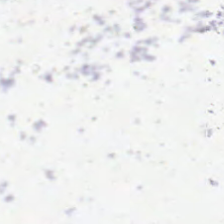H&E stain.
Q: What does this patch show?
A: This is background.
